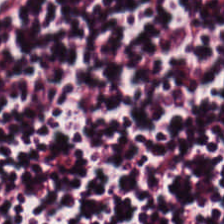Hematoxylin-and-eosin stained section; WSI patch; formalin-fixed paraffin-embedded section — Predominantly lymphoid infiltrate.
